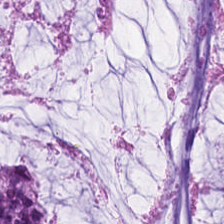Hematoxylin-and-eosin stained section — Finding → mucus.
